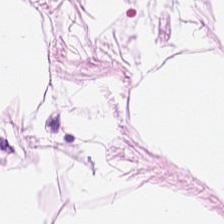H&E. Classification: fat tissue.
